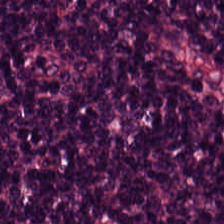Stain: H&E stain.
Classification: lymphocytic infiltrate.
